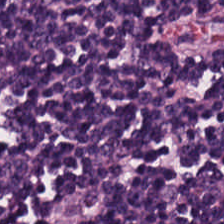Brightfield microscopy; H&E stain; formalin-fixed paraffin-embedded section.
Q: What type of tissue is this?
A: Lymphoid infiltrate.
